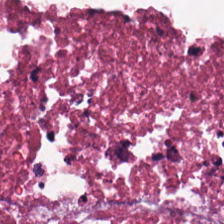Histology — necrotic debris.
